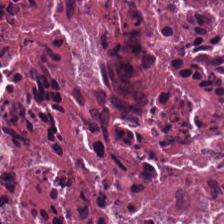Hematoxylin-and-eosin stained section — {"tissue_type": "cellular debris"}
